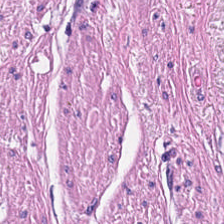0.5 microns per pixel. H&E. WSI patch. Classification — muscularis.
